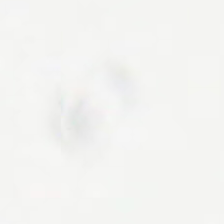Q: What is shown in this field?
A: This is no tissue.
